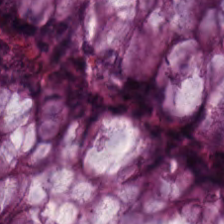Tissue — normal colonic mucosa.
